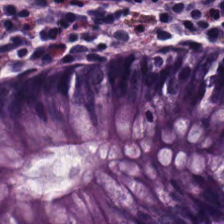Whole-slide-image patch. 224×224 px tile. H&E stain.
Classification: benign colonic mucosa.
